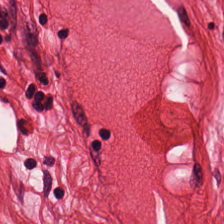Hematoxylin and eosin. The tissue here is muscularis.
